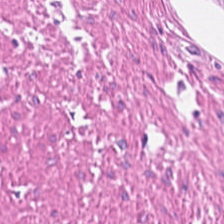Brightfield microscopy · 224×224 pixel tile · H&E stain — This field is smooth-muscle tissue.
